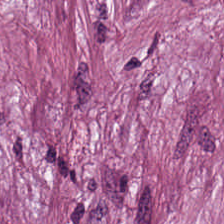Q: What is shown in this field?
A: Tumor stroma.
